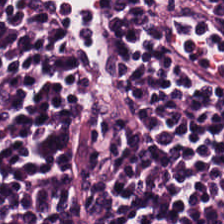Hematoxylin-and-eosin stained section · 224×224 pixel tile · FFPE tissue section. Lymphocytes.
